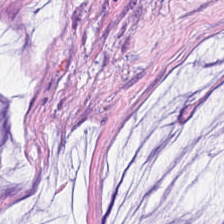H&E. This patch shows mucin.
